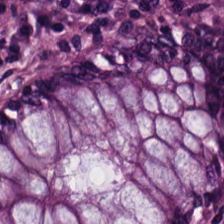Stain: H&E-stained tissue section.
Tissue type: normal colonic mucosa.
